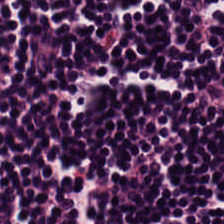This field is lymphocyte aggregate.
